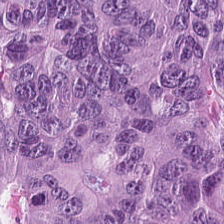Hematoxylin and eosin. Q: Classify this patch.
A: The field shows adenocarcinoma.
